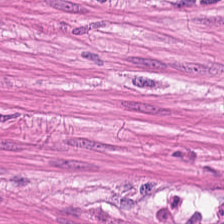224×224 px tile. H&E-stained tissue section — The tissue here is smooth muscle.
